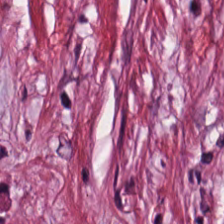20× equivalent magnification · H&E stain — The tissue here is tumor stroma.
